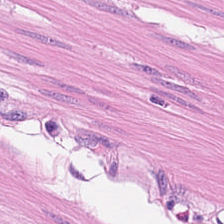H&E stain.
Smooth-muscle tissue.
